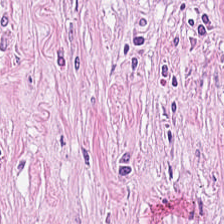H&E-stained tissue section. FFPE. Histology → tumor-associated stroma.
